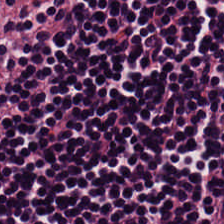224×224 px tile. Formalin-fixed paraffin-embedded section. Hematoxylin-and-eosin stained section — The predominant tissue is lymphoid infiltrate.
